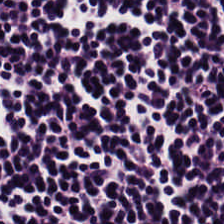The predominant tissue is lymphocytic infiltrate.
